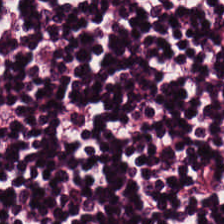H&E. {"tissue_type": "lymphocytes"}
